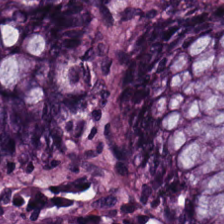The tissue type is normal colon mucosa.
